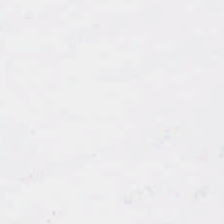Stain: H&E-stained tissue section.
Content: no tissue.
